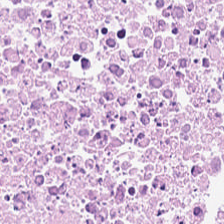H&E · 20× equivalent magnification — {"tissue_type": "cellular debris"}
